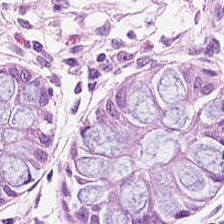Stain: H&E.
Predominant tissue: non-neoplastic colon mucosa.
